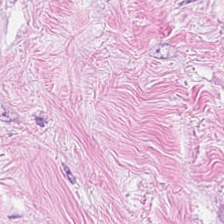0.5 µm/px; hematoxylin and eosin. The tissue here is tumor stroma.
